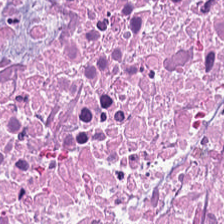Stain: hematoxylin and eosin.
Tissue type: debris.
